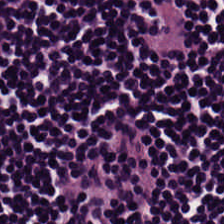H&E-stained tissue section showing lymphoid infiltrate.
